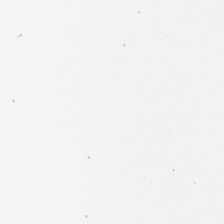Empty field — background (no tissue).
